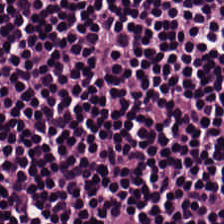Hematoxylin and eosin; FFPE; 224×224 pixel tile — Lymphocyte aggregate.
